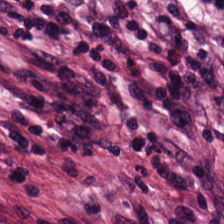{"tissue_type": "tumor stroma"}
